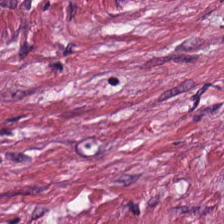H&E — Cancer-associated stroma.
